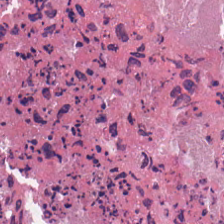H&E stain — Finding → debris.
